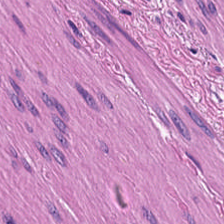224×224 pixel tile; H&E. Tissue class = smooth-muscle tissue.
